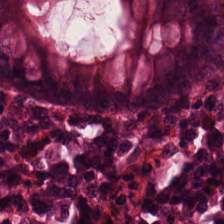FFPE tissue section · hematoxylin-and-eosin stained section — This patch shows non-neoplastic colon mucosa.
